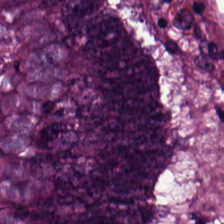H&E stain — The tissue is adenocarcinoma.
